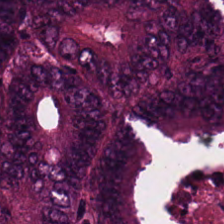FFPE; H&E-stained tissue section. Predominantly adenocarcinoma.
